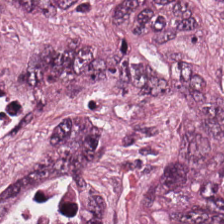0.5 µm per pixel · FFPE tissue section · H&E.
The tissue type is tumor epithelium.
